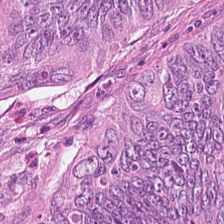Q: What type of tissue is this?
A: Colorectal adenocarcinoma.
